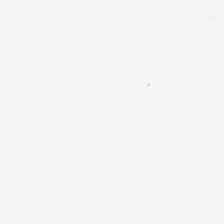Content = background (no tissue).
